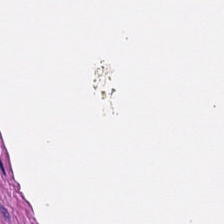H&E. Tissue class: smooth-muscle tissue.
